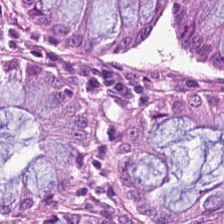H&E stain. 0.5 microns per pixel.
Tissue type — normal colon mucosa.
